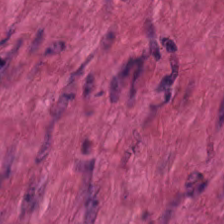Classification = muscularis.
